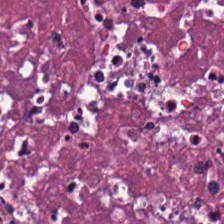H&E — Tissue = debris.
